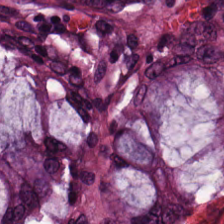H&E stain. The predominant tissue is non-neoplastic colon mucosa.
